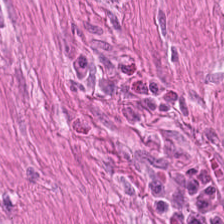H&E. This patch shows smooth-muscle tissue.
